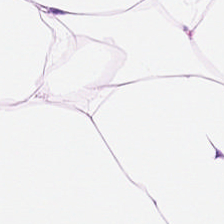Hematoxylin-and-eosin stained section; 224×224 px tile; WSI patch — Q: What type of tissue is this?
A: Adipose tissue.
